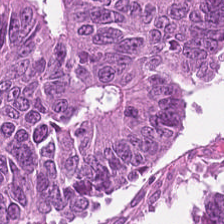FFPE tissue section; whole-slide-image patch; hematoxylin and eosin.
Tissue type — colorectal adenocarcinoma epithelium.
